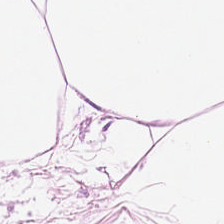224×224 px patch; 0.5 microns per pixel; H&E stain.
Predominantly fat tissue.
